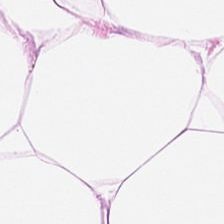H&E. 0.5 µm per pixel. Formalin-fixed paraffin-embedded section — Finding → adipocytes.
